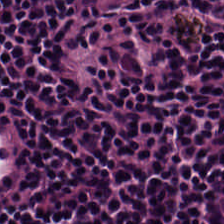H&E — Showing lymphocyte aggregate.
